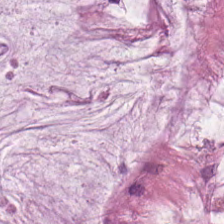Stain: hematoxylin and eosin.
Preparation: FFPE.
Resolution: 20× equivalent magnification.
Classification: mucin.
